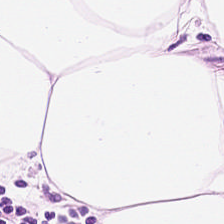Stain: hematoxylin and eosin.
Preparation: FFPE.
Tissue class: adipose.
